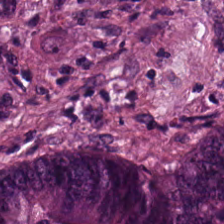H&E stain.
Predominantly tumor epithelium.
